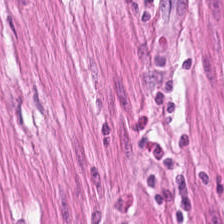Tissue class: muscularis.
